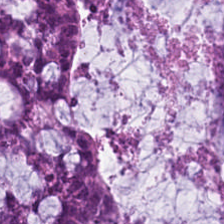Hematoxylin and eosin. Whole-slide-image patch. 224×224 px patch — This patch shows mucin.
